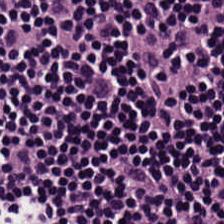H&E-stained tissue section showing lymphocyte aggregate.
